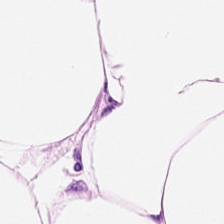20× equivalent magnification · H&E stain. Predominant tissue — fat tissue.
